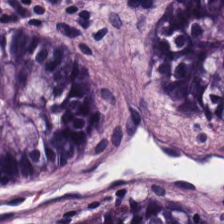This patch shows benign colonic mucosa.
